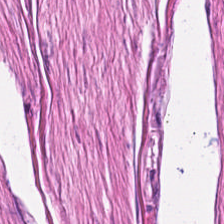H&E-stained tissue section — This patch shows smooth muscle.
